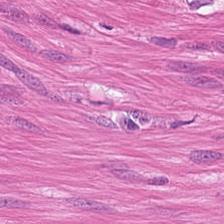Stain: H&E stain.
Predominant tissue: smooth muscle.
